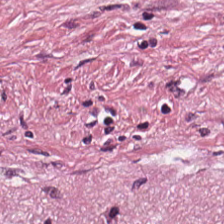H&E-stained tissue section · FFPE tissue section · 20× equivalent magnification. This field is cancer-associated stroma.
